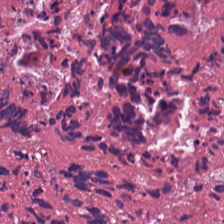H&E-stained tissue section.
This patch shows cellular debris.
